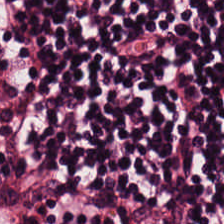H&E. Finding → lymphocytic infiltrate.
